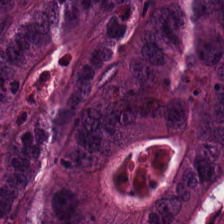Finding — adenocarcinoma.
